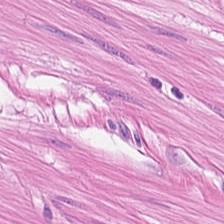224×224 pixel tile. FFPE tissue section. H&E stain — Tissue — muscularis.
